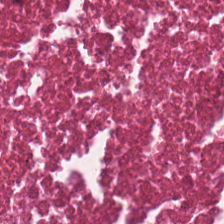H&E — Q: What is the predominant tissue type?
A: It is debris.
